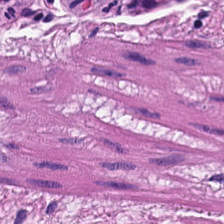H&E stain.
The tissue here is smooth muscle.
